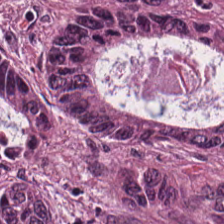This field is colorectal adenocarcinoma epithelium.
